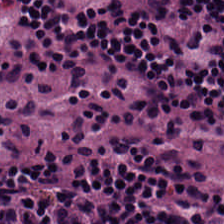WSI patch; hematoxylin-and-eosin stained section; 0.5 µm per pixel.
Q: What is the predominant tissue type?
A: It is lymphocytes.
